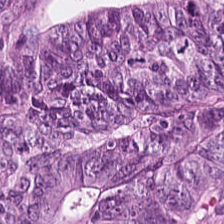H&E stain · FFPE · 224×224 px tile. The tissue here is tumor epithelium.
